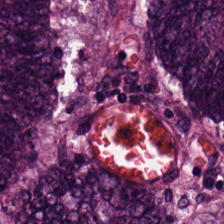Stain: hematoxylin-and-eosin stained section.
Tissue: adenocarcinoma.
